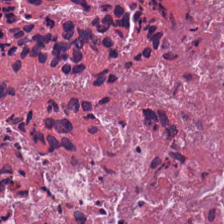H&E — The predominant tissue is necrotic debris.
